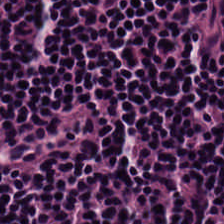H&E-stained tissue section — Q: What is shown in this field?
A: This is lymphocytic infiltrate.
